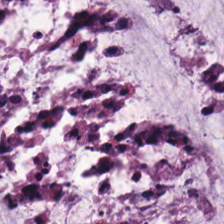WSI patch · hematoxylin-and-eosin stained section — Mucin.
